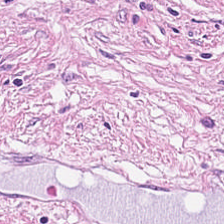Hematoxylin and eosin. 0.5 microns per pixel.
Classification = tumor-associated stroma.
